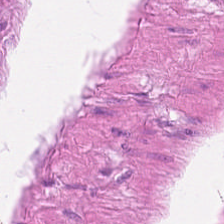Stain: hematoxylin and eosin.
Acquisition: WSI patch.
Predominant tissue: smooth-muscle tissue.
